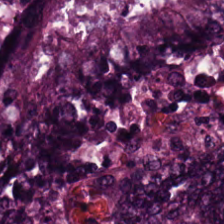This field is colorectal adenocarcinoma epithelium.
